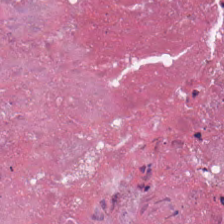Brightfield microscopy; formalin-fixed paraffin-embedded section; H&E stain.
Q: What is shown in this field?
A: The field shows debris.
